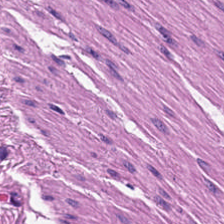FFPE · H&E-stained tissue section. Histology — smooth muscle.
